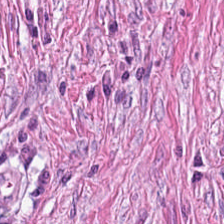Classification — desmoplastic stroma.
